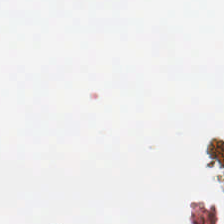H&E-stained tissue section — Content: background (no tissue).
